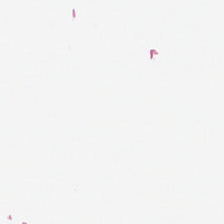20× equivalent magnification; hematoxylin and eosin. Classification = no tissue.
